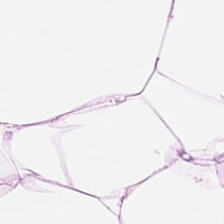H&E stain. Q: What tissue is shown?
A: This is fat tissue.
